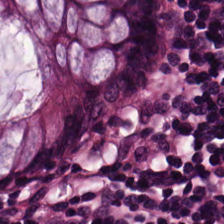H&E-stained tissue section. 20× equivalent magnification. Formalin-fixed paraffin-embedded section.
Q: What is the predominant tissue type?
A: This is normal colon mucosa.
